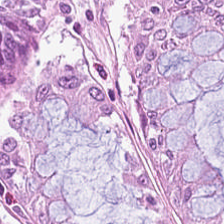Classification = benign colonic mucosa.
